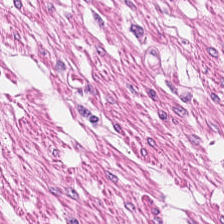Impression → smooth-muscle tissue.
